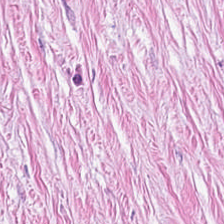224×224 pixel tile; H&E stain.
Tissue class — cancer-associated stroma.
